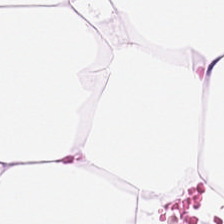0.5 µm per pixel; hematoxylin and eosin — Q: What does this patch show?
A: It is adipose tissue.
